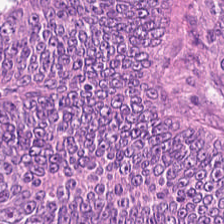224×224 pixel tile; H&E; FFPE — Impression → adenocarcinoma.
